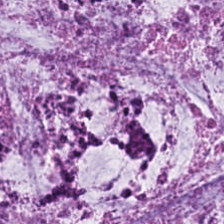FFPE tissue section. H&E stain — The tissue here is mucus.
